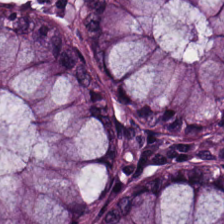H&E — non-neoplastic colon mucosa.
